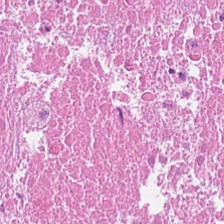Stain: H&E-stained tissue section.
Tissue type: necrotic debris.
